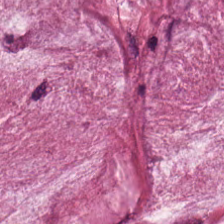224×224 px tile · hematoxylin and eosin — Finding → extracellular mucin.
